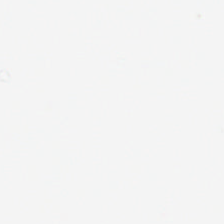{"content": "background (no tissue)"}
